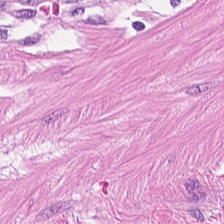20× equivalent magnification; H&E-stained tissue section; FFPE tissue section. This field is smooth muscle.
